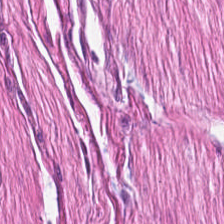Stain: H&E-stained tissue section.
Resolution: 0.5 µm/px.
Tissue: smooth-muscle tissue.
